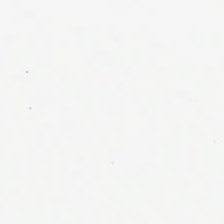H&E stain. 224×224 px patch.
This field is background (no tissue).
